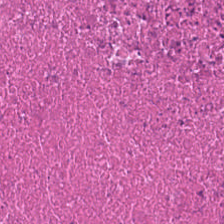Hematoxylin-and-eosin stained section; FFPE tissue section.
Q: What type of tissue is this?
A: Cellular debris.
